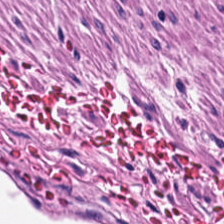Hematoxylin and eosin · 224×224 px tile — Predominantly muscularis.
